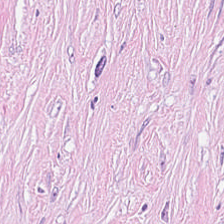Stain: hematoxylin and eosin.
Tile size: 224×224 pixel tile.
Acquisition: whole-slide-image patch.
Tissue type: tumor-associated stroma.
